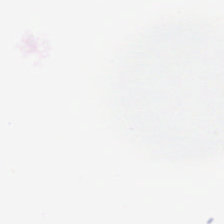Impression — background.
